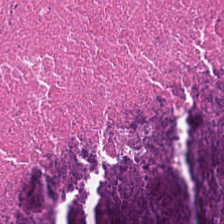FFPE; 0.5 microns per pixel; H&E-stained tissue section.
The predominant tissue is necrotic debris.
